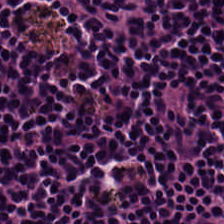20× equivalent magnification · 224×224 px tile · H&E stain.
Histology — lymphocytes.
